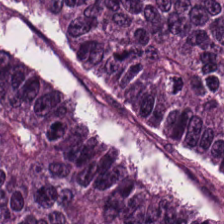Hematoxylin and eosin · WSI patch — Tumor epithelium.
